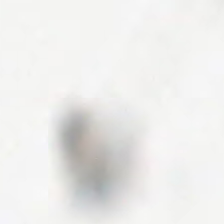H&E-stained tissue section; formalin-fixed paraffin-embedded section; 224×224 pixel tile. The classification is background (no tissue).
